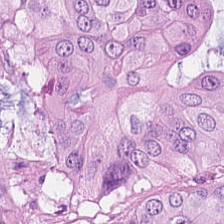H&E stain; 0.5 µm/px. Histology → colorectal adenocarcinoma epithelium.
